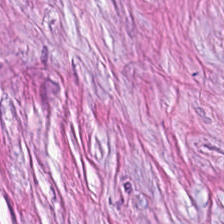H&E patch showing tumor-associated stroma.
